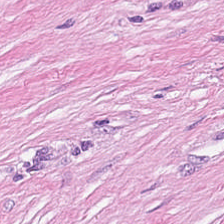Hematoxylin and eosin. 224×224 px tile. Tissue class — cancer-associated stroma.
